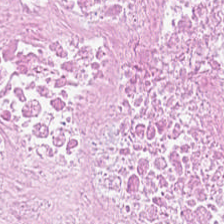224×224 pixel tile. H&E. This patch shows cellular debris.
